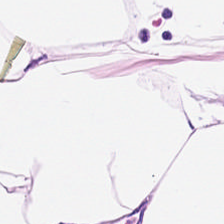Stain: hematoxylin-and-eosin stained section.
Acquisition: whole-slide-image patch.
Tissue: adipose.
